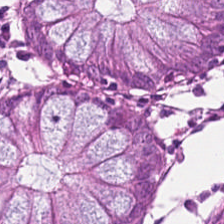H&E stain.
Tissue = non-neoplastic colon mucosa.
